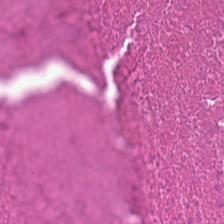FFPE; H&E-stained tissue section. Q: Classify this patch.
A: Necrotic debris.
